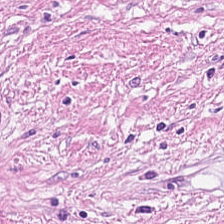H&E-stained tissue section showing cancer-associated stroma.
